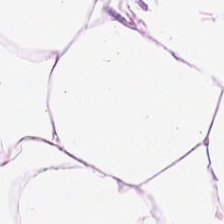Hematoxylin and eosin. Predominant tissue — adipocytes.
